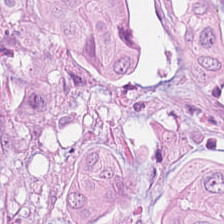20× equivalent magnification · H&E — Predominantly adenocarcinoma.
